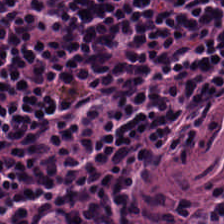Q: What does this patch show?
A: This is lymphocytic infiltrate.
